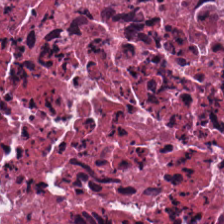Q: What is the predominant tissue type?
A: It is necrotic debris.
